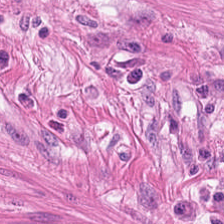H&E stain. Whole-slide-image patch. This patch shows smooth muscle.
